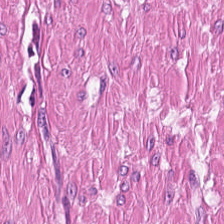Finding — smooth-muscle tissue.
